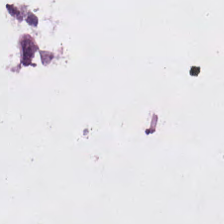FFPE · 20× equivalent magnification · hematoxylin and eosin — The field content is no tissue.
